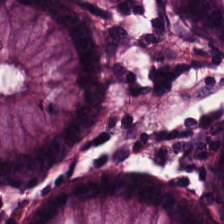0.5 microns per pixel. Hematoxylin-and-eosin stained section. Tissue class = normal colon mucosa.
